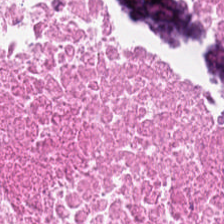Hematoxylin-and-eosin stained section.
Q: What is the predominant tissue type?
A: This is necrotic debris.
